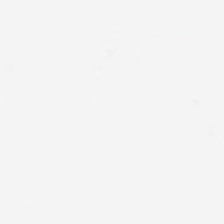Stain: hematoxylin-and-eosin stained section.
Classification: background (no tissue).
